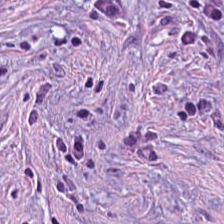FFPE tissue section · hematoxylin and eosin — Cancer-associated stroma.
